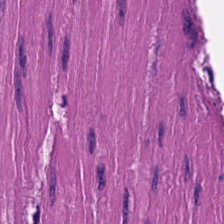Stain: hematoxylin and eosin.
Tissue: smooth-muscle tissue.
